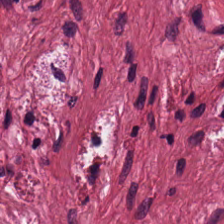Hematoxylin and eosin — This patch shows cancer-associated stroma.
